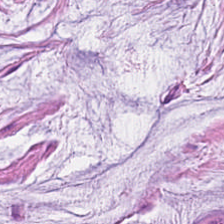The predominant tissue is mucin.
